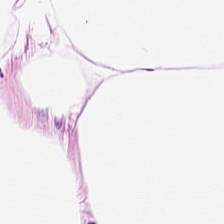Hematoxylin-and-eosin stained section — Predominantly fat tissue.
